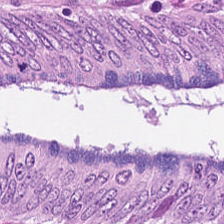H&E — Predominantly adenocarcinoma.
